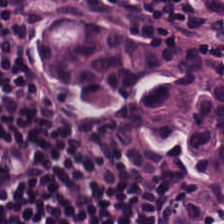The tissue here is lymphocyte aggregate.
